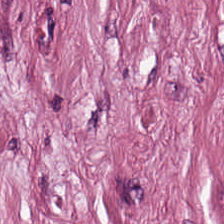H&E patch showing cancer-associated stroma.
